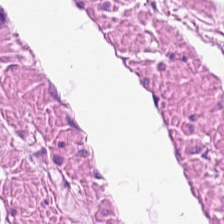H&E stain — Impression → muscularis.
